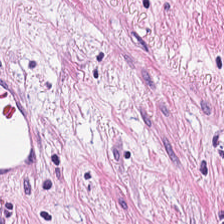The tissue here is tumor stroma.
